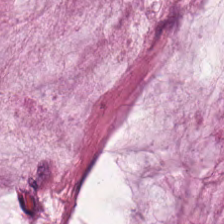H&E-stained tissue section showing extracellular mucin.
